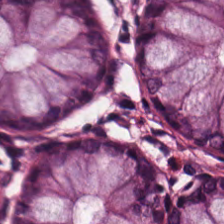WSI patch; H&E stain — Predominant tissue — non-neoplastic colon mucosa.
